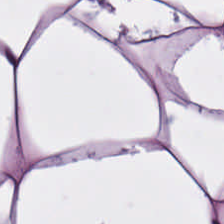Stain: H&E-stained tissue section.
Tissue type: adipose tissue.
